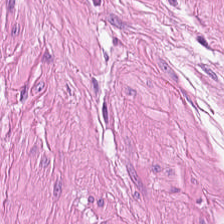H&E-stained tissue section. Histology — smooth-muscle tissue.
